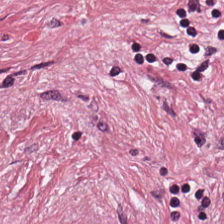Stain: H&E stain.
Tissue class: tumor-associated stroma.
